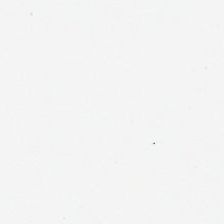H&E stain — This patch shows empty background.
